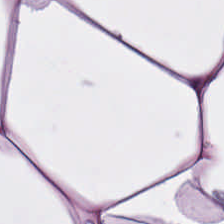H&E-stained tissue section — Finding — fat tissue.
